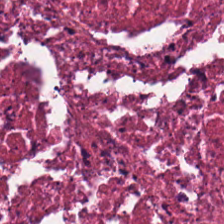Showing cellular debris.
